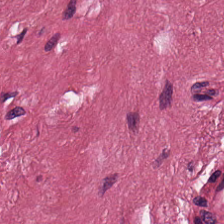H&E-stained tissue section. Q: What does this patch show?
A: This is desmoplastic stroma.
